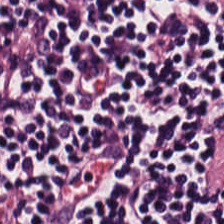Hematoxylin and eosin. Formalin-fixed paraffin-embedded section. Whole-slide-image patch. The tissue here is lymphocyte aggregate.
